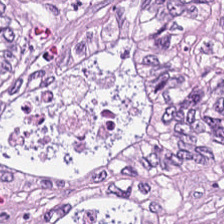Hematoxylin-and-eosin stained section — {"tissue_type": "tumor epithelium"}
